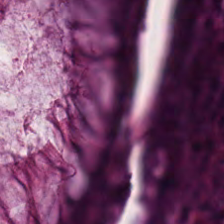H&E — Classification — normal colonic mucosa.
